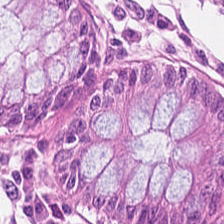Stain: hematoxylin and eosin.
Tile size: 224×224 pixel tile.
Tissue class: normal colon mucosa.
